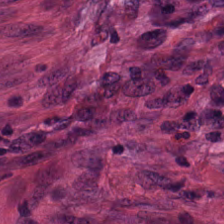FFPE; brightfield; H&E-stained tissue section. This patch shows tumor stroma.
